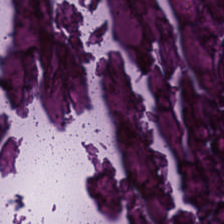Hematoxylin-and-eosin stained section. The predominant tissue is necrotic debris.
